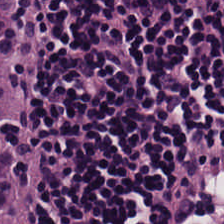H&E-stained tissue section. Lymphocytes.
